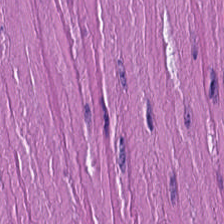Hematoxylin-and-eosin stained section. Q: Identify the tissue.
A: Smooth muscle.
